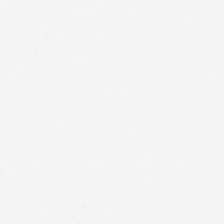H&E-stained tissue section — This patch shows background (no tissue).
